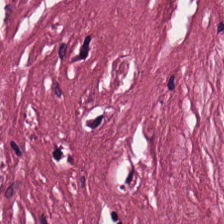Hematoxylin-and-eosin stained section. Q: What tissue type is shown here?
A: The field shows tumor stroma.
